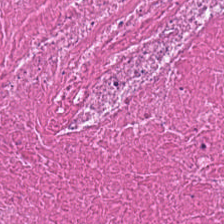Hematoxylin-and-eosin stained section · whole-slide-image patch. Histology → debris.
